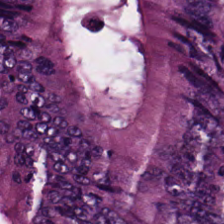224×224 px patch · H&E. Impression — tumor epithelium.
